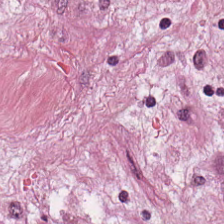224×224 pixel tile. Hematoxylin-and-eosin stained section. Q: What does this patch show?
A: This is tumor-associated stroma.
